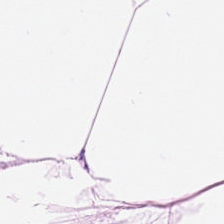224×224 pixel tile; hematoxylin-and-eosin stained section.
Showing fat tissue.
